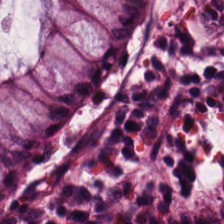Whole-slide-image patch · 224×224 px tile · H&E-stained tissue section. Q: What tissue type is shown here?
A: It is benign colonic mucosa.
